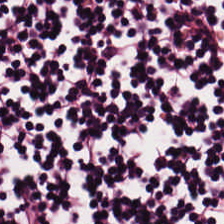H&E.
The classification is lymphocytic infiltrate.
